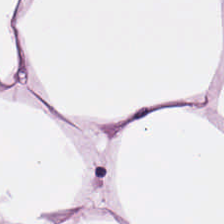H&E.
Histology — adipocytes.
